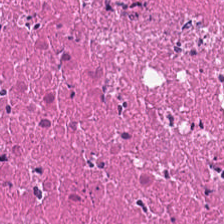H&E stain. Q: What type of tissue is this?
A: The field shows cellular debris.
